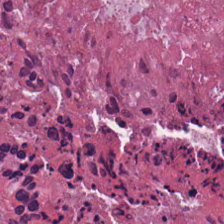Brightfield microscopy; H&E; 0.5 µm per pixel. The classification is debris.
